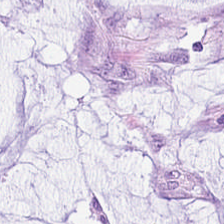H&E — Q: What tissue type is shown here?
A: The field shows mucin.
